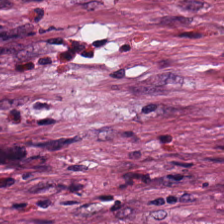Hematoxylin-and-eosin stained section · whole-slide-image patch — Tissue class — cancer-associated stroma.
